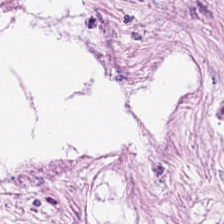The tissue type is tumor-associated stroma.
